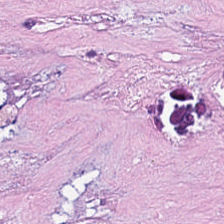0.5 µm/px; formalin-fixed paraffin-embedded section; hematoxylin-and-eosin stained section.
Predominantly necrotic debris.
